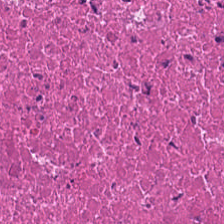H&E stain. FFPE tissue section. Tissue — necrotic debris.
